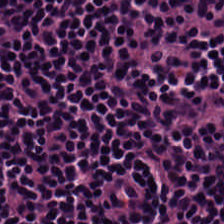Hematoxylin-and-eosin stained section. This patch shows lymphocytic infiltrate.
